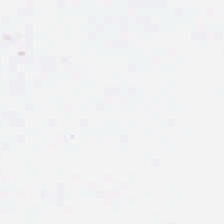Classification — no tissue.
